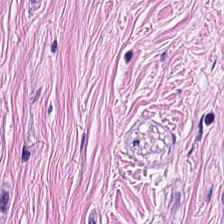Hematoxylin and eosin.
Showing tumor-associated stroma.
